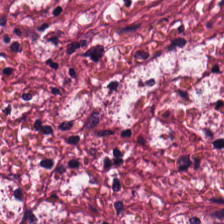Stain: hematoxylin and eosin.
Tissue class: desmoplastic stroma.
